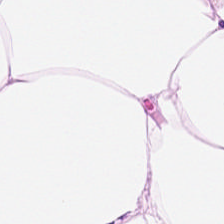0.5 microns per pixel. Hematoxylin and eosin. Adipose tissue.
